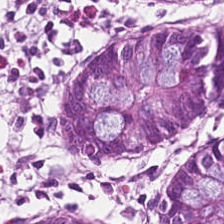H&E · 224×224 px tile. Q: What tissue type is shown here?
A: The field shows normal colon mucosa.
